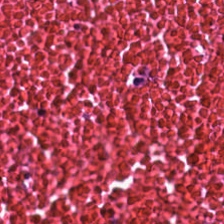Hematoxylin and eosin · 224×224 px patch · formalin-fixed paraffin-embedded section. {"tissue_type": "cellular debris"}
